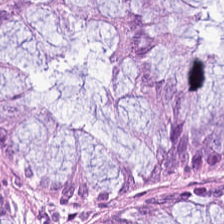Impression → benign colonic mucosa.
